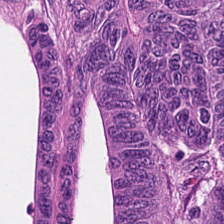H&E-stained section; the field shows colorectal adenocarcinoma.
